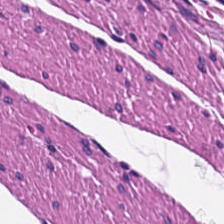224×224 px tile. Hematoxylin and eosin. This patch shows smooth-muscle tissue.
